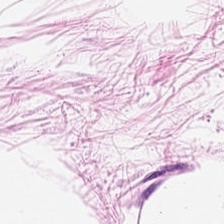H&E · 224×224 px tile. Adipose tissue.
